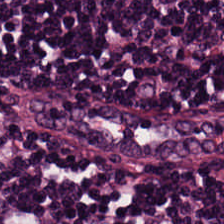H&E-stained tissue section. The classification is lymphocyte aggregate.
